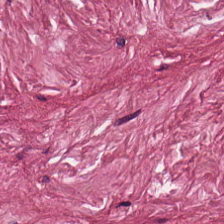H&E.
The predominant tissue is tumor-associated stroma.
